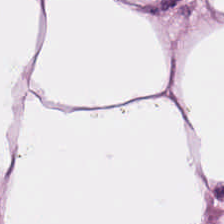H&E-stained tissue section — Adipose tissue.
